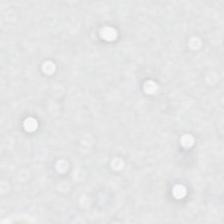Stain: hematoxylin-and-eosin stained section.
Preparation: FFPE.
Field content: background.
